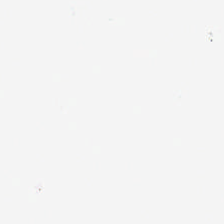H&E stain. This field is background (no tissue).
